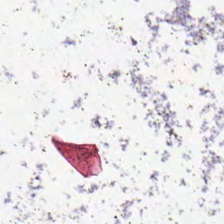H&E-stained tissue section. 20× equivalent magnification — {"content": "background (no tissue)"}
